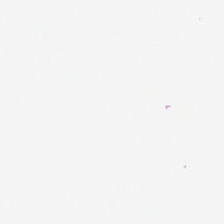FFPE · H&E-stained tissue section · 0.5 µm/px.
Q: What is shown in this field?
A: No tissue.
